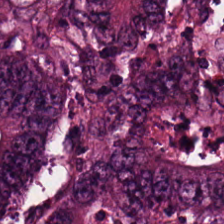Hematoxylin-and-eosin stained section; whole-slide-image patch — Histology → malignant epithelium.
